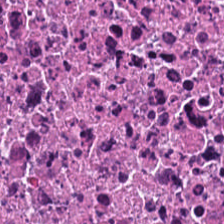Hematoxylin-and-eosin stained section · FFPE tissue section · brightfield — The tissue class is debris.
